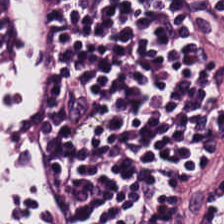Hematoxylin-and-eosin stained section; 0.5 µm per pixel.
Q: Identify the tissue.
A: It is lymphocyte aggregate.
